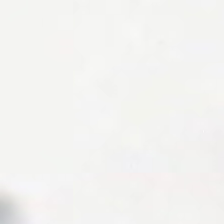Stain: hematoxylin and eosin.
Preparation: FFPE tissue section.
Field content: empty background.
